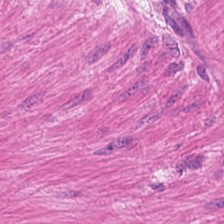Stain: hematoxylin and eosin.
Classification: smooth-muscle tissue.
